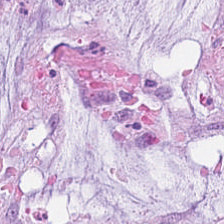Q: What does this patch show?
A: The field shows mucin.
